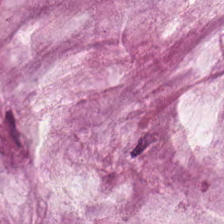Stain: H&E stain.
Tissue: mucin.
